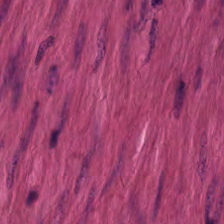H&E stain. Finding → smooth muscle.
